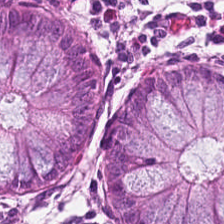Hematoxylin-and-eosin stained section. 20× equivalent magnification. 224×224 px tile. The tissue here is non-neoplastic colon mucosa.
